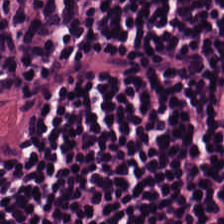0.5 µm per pixel. H&E-stained tissue section. Predominantly lymphocytes.
